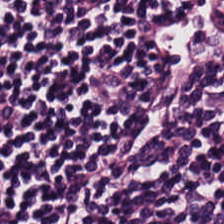Predominantly lymphoid infiltrate.
